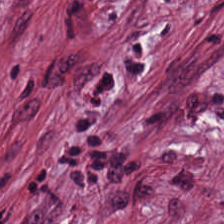H&E.
{"tissue_type": "tumor stroma"}
